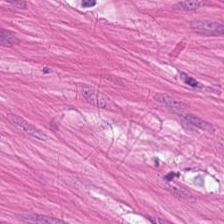FFPE; H&E stain. This field is smooth muscle.
